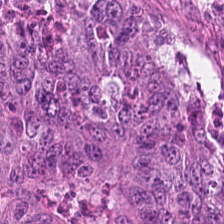Hematoxylin-and-eosin stained section — This patch shows colorectal adenocarcinoma.
